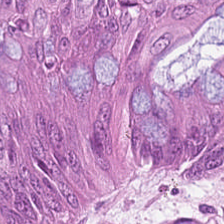H&E; 0.5 microns per pixel.
Q: What is shown here?
A: The field shows colorectal adenocarcinoma.
